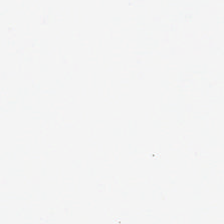Hematoxylin and eosin. FFPE — The field content is empty background.
